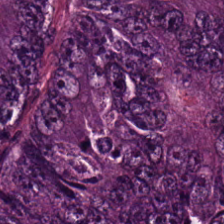H&E patch showing colorectal adenocarcinoma.
